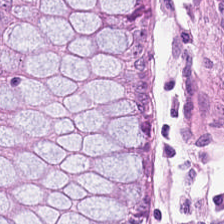Hematoxylin-and-eosin stained section. 224×224 pixel tile.
Q: What is the predominant tissue type?
A: This is non-neoplastic colon mucosa.
